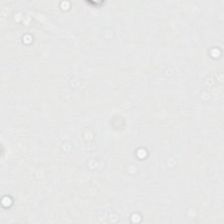WSI patch; hematoxylin-and-eosin stained section. Field content: background (no tissue).
